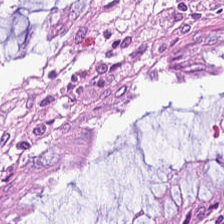Classification — normal colon mucosa.
